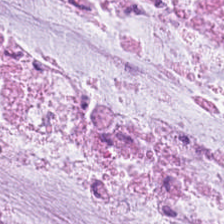H&E. The predominant tissue is extracellular mucin.
